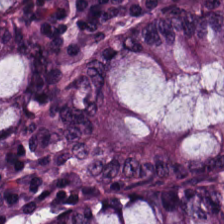Hematoxylin and eosin — Normal colonic mucosa.
